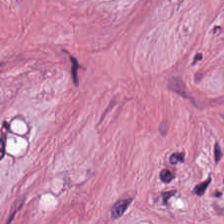H&E stain; 224×224 pixel tile.
Q: What tissue type is shown here?
A: It is tumor stroma.
